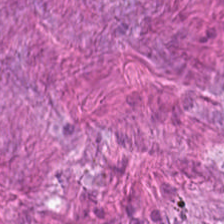Stain: H&E.
Tissue type: cancer-associated stroma.
